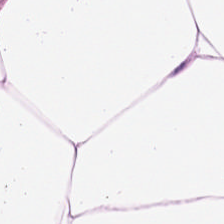Hematoxylin and eosin · FFPE · 20× equivalent magnification — {"tissue_type": "adipocytes"}
